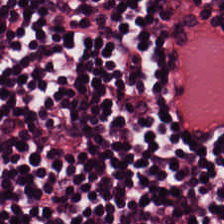Stain: H&E.
Tissue type: lymphocytes.
